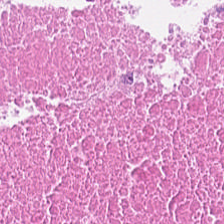H&E-stained tissue section.
Tissue: debris.
